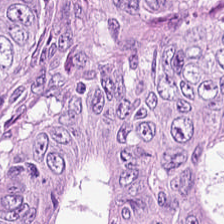H&E-stained tissue section. 224×224 pixel tile.
Q: What type of tissue is this?
A: It is colorectal adenocarcinoma.
